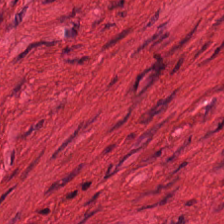Stain: H&E.
Resolution: 20× equivalent magnification.
Preparation: FFPE tissue section.
Tissue: muscularis.
